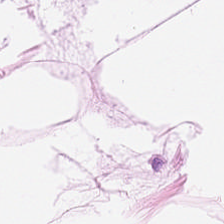Brightfield. Hematoxylin-and-eosin stained section. 224×224 px tile — Tissue: adipose.
